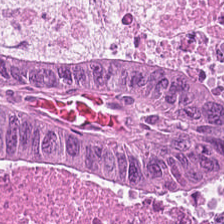0.5 microns per pixel; hematoxylin-and-eosin stained section; WSI patch. This patch shows colorectal adenocarcinoma.
